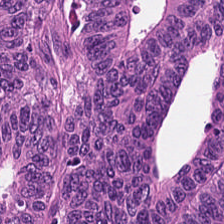Hematoxylin-and-eosin stained section; WSI patch.
Colorectal adenocarcinoma epithelium.
